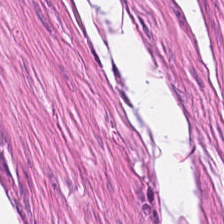Formalin-fixed paraffin-embedded section. H&E.
Tissue = smooth-muscle tissue.
